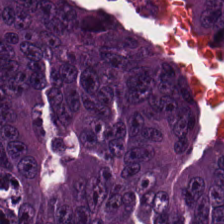H&E — {"tissue_type": "adenocarcinoma"}
